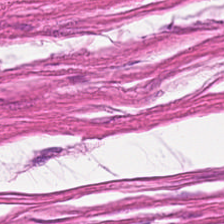Hematoxylin-and-eosin section: smooth-muscle tissue.
